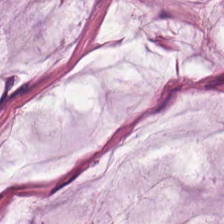Hematoxylin-and-eosin stained section — Predominantly mucus.
